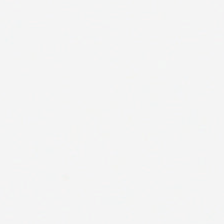Hematoxylin-and-eosin stained section · brightfield.
No tissue present; background only.
